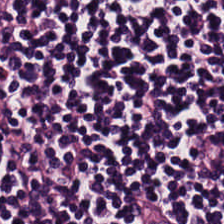Stain: H&E-stained tissue section.
Tile size: 224×224 px patch.
Tissue: lymphocyte aggregate.
